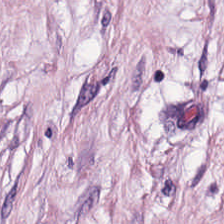Tissue class — cancer-associated stroma.
